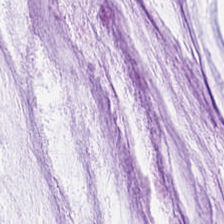Stain: H&E.
Preparation: formalin-fixed paraffin-embedded section.
Resolution: 20× equivalent magnification.
Tissue class: mucus.
